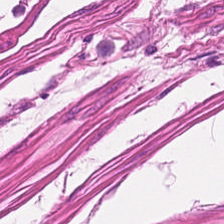Hematoxylin-and-eosin stained section · brightfield microscopy. Tissue type: smooth muscle.
